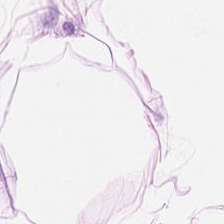Hematoxylin and eosin. The tissue here is adipose.
